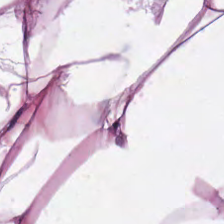Hematoxylin and eosin — This patch shows adipose tissue.
